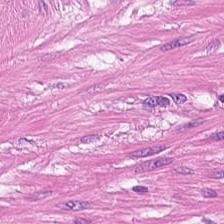Hematoxylin and eosin — Tissue class = smooth muscle.
